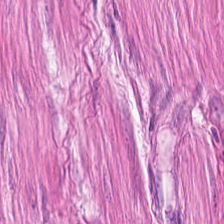H&E-stained tissue section — Histology → muscularis.
